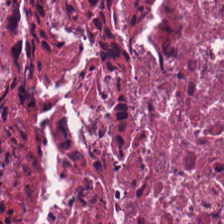Stain: H&E.
Tile size: 224×224 px tile.
Acquisition: whole-slide-image patch.
Tissue class: necrotic debris.
